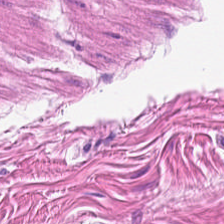FFPE. H&E.
Tissue — muscularis.
